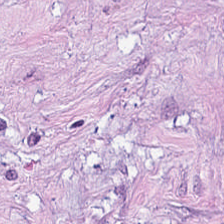Tissue class = tumor-associated stroma.
